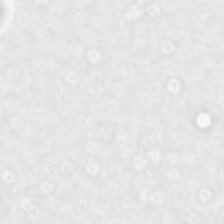Stain: hematoxylin-and-eosin stained section.
Acquisition: brightfield microscopy.
Preparation: FFPE.
Content: empty background.
